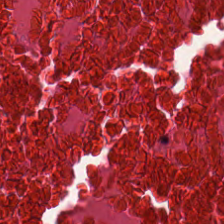WSI patch · 0.5 µm per pixel · H&E stain — The tissue here is debris.
